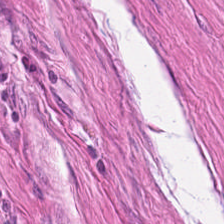0.5 µm/px; hematoxylin-and-eosin stained section; FFPE.
Impression — smooth-muscle tissue.
